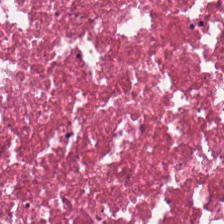FFPE; hematoxylin-and-eosin stained section; 0.5 µm/px — Q: Classify this patch.
A: The field shows cellular debris.
